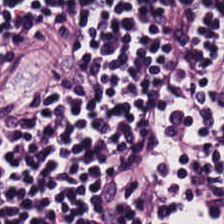Stain: hematoxylin-and-eosin stained section.
Tile size: 224×224 pixel tile.
Acquisition: brightfield microscopy.
Predominant tissue: lymphocyte aggregate.
